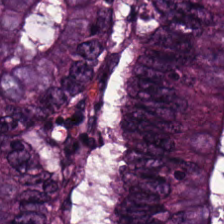H&E stain — Tumor epithelium.
